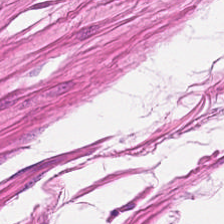0.5 µm/px. Brightfield. Hematoxylin-and-eosin stained section.
Finding → muscularis.
